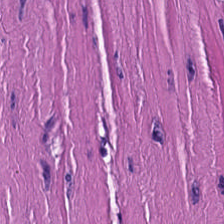Hematoxylin-and-eosin stained section; 0.5 µm per pixel; 224×224 px tile — The tissue type is smooth-muscle tissue.
